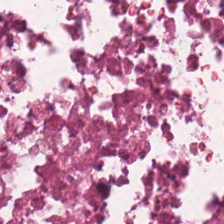Hematoxylin-and-eosin stained section.
Q: What is shown here?
A: The field shows necrotic debris.
